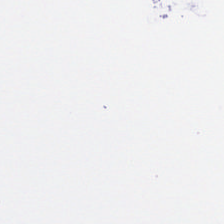224×224 px tile · hematoxylin and eosin. No tissue present; background only.
